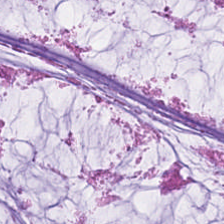224×224 px patch. Brightfield. H&E-stained tissue section — Classification: mucin.
